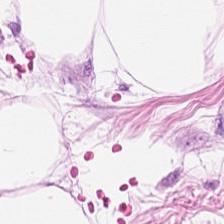Predominantly fat tissue.
